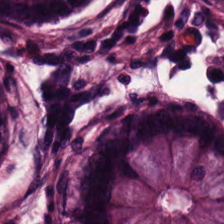224×224 px patch; FFPE tissue section; hematoxylin and eosin. Predominant tissue = benign colonic mucosa.
